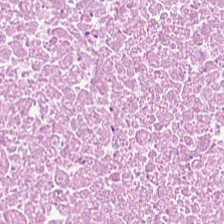Hematoxylin and eosin. Classification = cellular debris.
